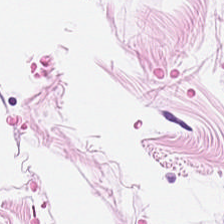Hematoxylin-and-eosin section: adipose tissue.
